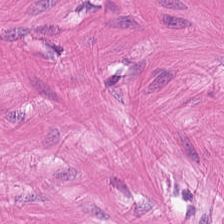Muscularis.
